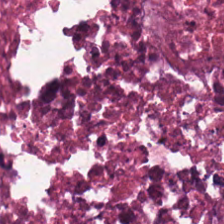Q: Identify the tissue.
A: It is debris.
